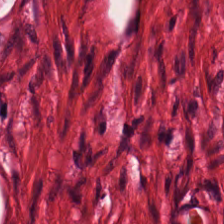H&E stain.
The classification is muscularis.
